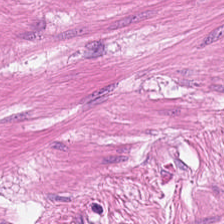Q: What type of tissue is this?
A: Muscularis.
